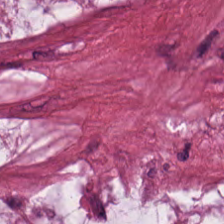FFPE tissue section. H&E stain. This patch shows mucin.
